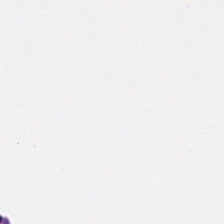H&E stain — Q: What tissue is shown?
A: Normal colonic mucosa.
